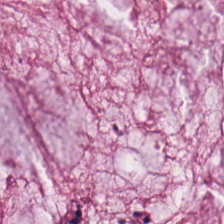Classification = mucus.
